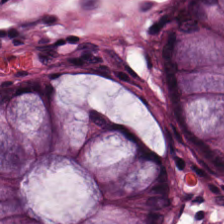Stain: H&E.
Resolution: 0.5 microns per pixel.
Classification: benign colonic mucosa.
